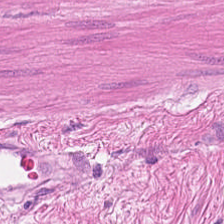Hematoxylin-and-eosin stained section — Tissue class — smooth muscle.
